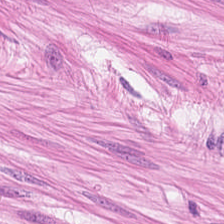H&E stain.
This patch shows smooth-muscle tissue.
